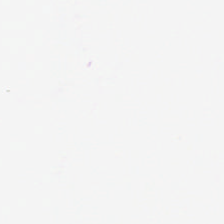Classification — background (no tissue).
